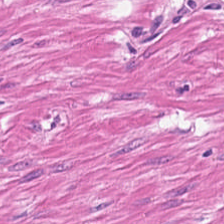H&E — Tissue class — smooth muscle.
